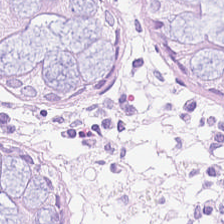224×224 px tile; brightfield microscopy; hematoxylin-and-eosin stained section. Tissue — normal colon mucosa.
